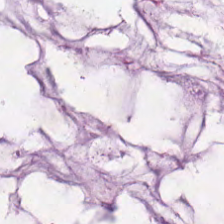H&E stain; FFPE tissue section — {"tissue_type": "mucus"}
